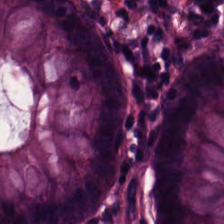Q: What is shown here?
A: This is benign colonic mucosa.
